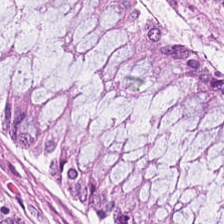Tissue — normal colonic mucosa.
